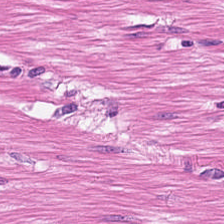H&E stain — Impression → muscularis.
